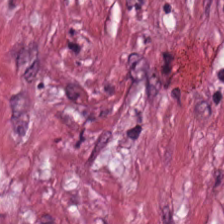{"tissue_type": "cancer-associated stroma"}
